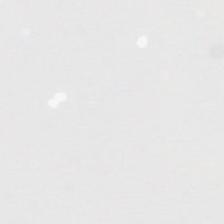H&E stain.
Q: Classify this patch.
A: This is empty background.
